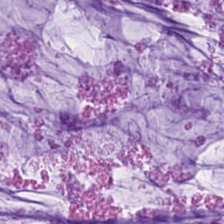Hematoxylin and eosin. FFPE — The tissue here is extracellular mucin.
